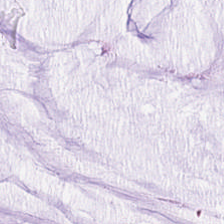224×224 px tile. 0.5 microns per pixel. Hematoxylin-and-eosin stained section — This field is extracellular mucin.
